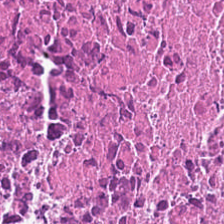Stain: hematoxylin and eosin.
Tissue class: cellular debris.
